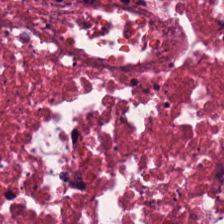H&E — debris.
